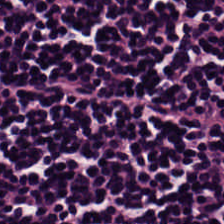Q: What type of tissue is this?
A: Lymphocyte aggregate.
